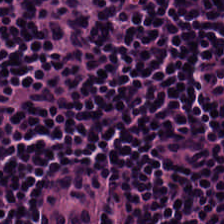This field is lymphocytes.
